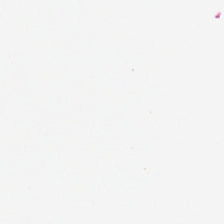224×224 pixel tile; H&E-stained tissue section. Q: What is shown here?
A: This is no tissue.
